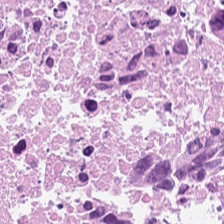H&E-stained section; the field shows debris.
